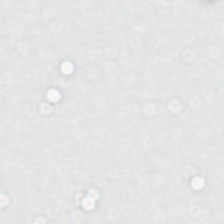Whole-slide-image patch; 0.5 µm per pixel; H&E stain — {"content": "background"}
